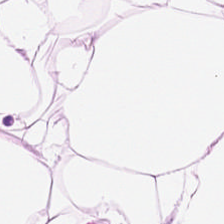Hematoxylin-and-eosin stained section.
Showing fat tissue.
